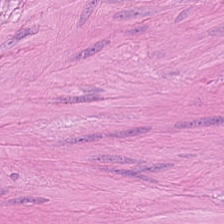Brightfield. H&E.
Tissue type: muscularis.
